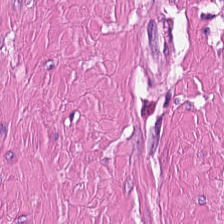Hematoxylin-and-eosin stained section. 224×224 pixel tile — Tissue type — smooth-muscle tissue.
